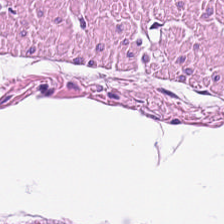{"tissue_type": "muscularis"}
